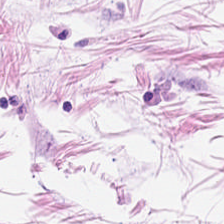224×224 pixel tile. H&E — Tissue class = adipocytes.
